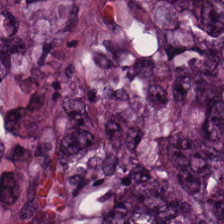Hematoxylin-and-eosin stained section.
Tumor epithelium.
